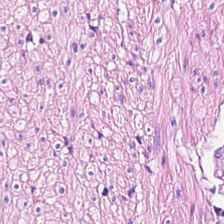H&E.
This field is smooth muscle.
